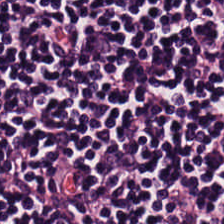Whole-slide-image patch · H&E — Q: Identify the tissue.
A: Lymphocytes.
